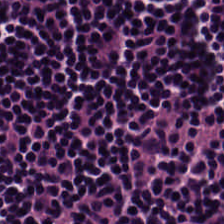224×224 pixel tile; FFPE tissue section; H&E stain — Showing lymphocytes.
